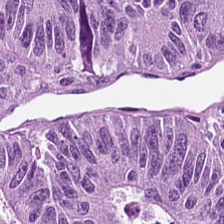H&E. Formalin-fixed paraffin-embedded section. WSI patch.
{"tissue_type": "colorectal adenocarcinoma"}
